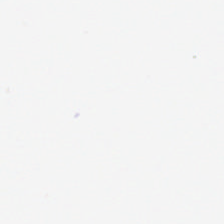H&E; 20× equivalent magnification.
Q: Classify this patch.
A: This is no tissue.
